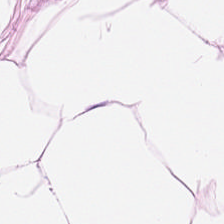Hematoxylin and eosin — The tissue is adipose tissue.
